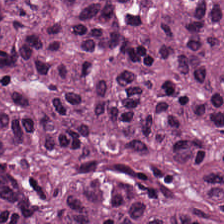H&E stain. 0.5 microns per pixel.
This patch shows malignant epithelium.
